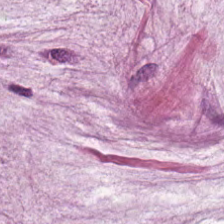Classification — mucus.
